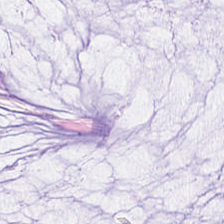This field is mucus.
